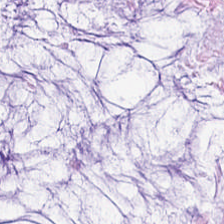Q: What tissue type is shown here?
A: It is mucus.
